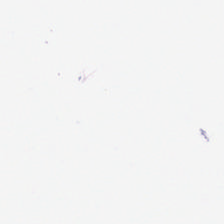Background.
